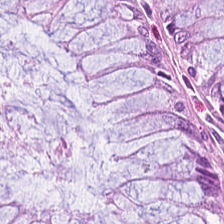Hematoxylin-and-eosin stained section · 20× equivalent magnification. Impression → benign colonic mucosa.
